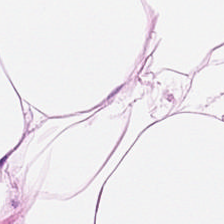H&E. 0.5 µm/px.
Adipose.
